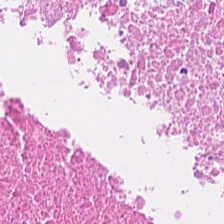Brightfield. H&E stain.
Classification = cellular debris.
